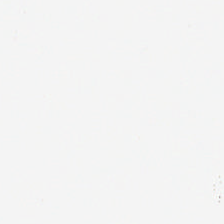Field content — empty background.
